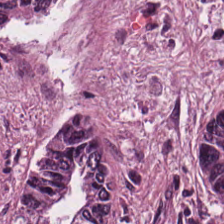Hematoxylin and eosin · formalin-fixed paraffin-embedded section.
This field is colorectal adenocarcinoma.
